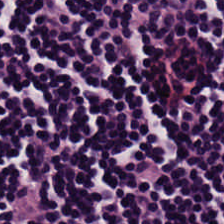Hematoxylin-and-eosin stained section — The predominant tissue is lymphocytic infiltrate.
